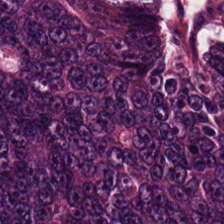Hematoxylin and eosin.
This patch shows colorectal adenocarcinoma epithelium.
